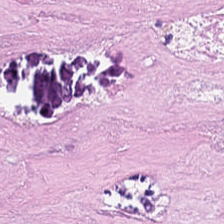Stain: H&E.
Classification: debris.
